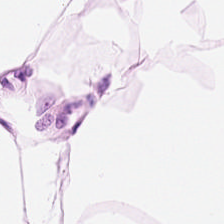Hematoxylin and eosin. This patch shows adipose.
